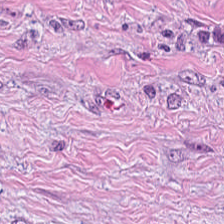Brightfield · H&E stain. The tissue here is tumor-associated stroma.
